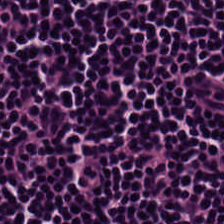H&E. Tissue — lymphocytes.
